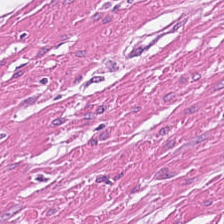H&E.
Tissue class — smooth-muscle tissue.
